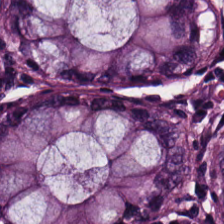0.5 µm/px · FFPE tissue section · hematoxylin-and-eosin stained section.
{"tissue_type": "non-neoplastic colon mucosa"}
